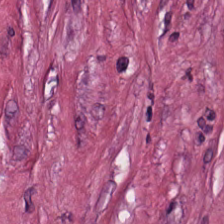H&E-stained tissue section · FFPE · 0.5 µm/px — Q: What is shown here?
A: It is tumor stroma.
